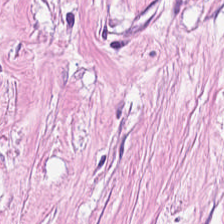Hematoxylin and eosin. FFPE — Q: What type of tissue is this?
A: This is tumor-associated stroma.
